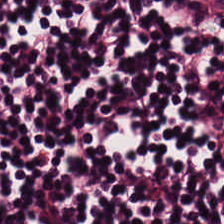Hematoxylin and eosin.
The predominant tissue is lymphocyte aggregate.
